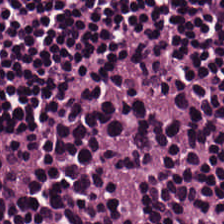Hematoxylin-and-eosin section: lymphoid infiltrate.
